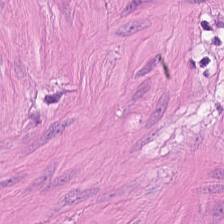Hematoxylin-and-eosin stained section.
This field is smooth muscle.
